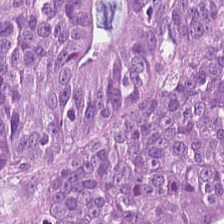This field is colorectal adenocarcinoma.
